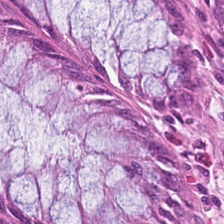Hematoxylin-and-eosin section: normal colon mucosa.
